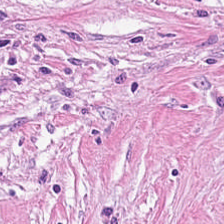H&E. {"tissue_type": "tumor stroma"}
